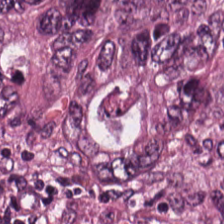H&E stain. Q: What does this patch show?
A: The field shows tumor epithelium.
